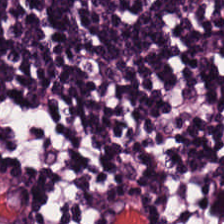Hematoxylin and eosin — Tissue type = lymphocytic infiltrate.
